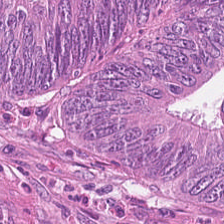Stain: H&E stain.
Resolution: 20× equivalent magnification.
Tissue type: tumor epithelium.
